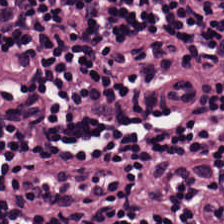224×224 pixel tile. H&E.
The tissue here is lymphocytes.
